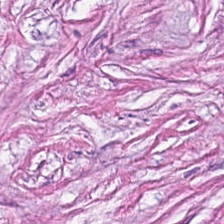Stain: H&E.
Acquisition: brightfield.
Classification: cancer-associated stroma.
